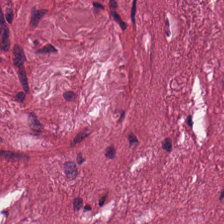Hematoxylin and eosin · 224×224 px patch · brightfield. This patch shows tumor-associated stroma.
